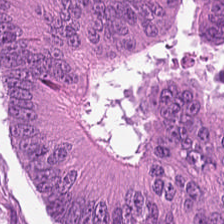224×224 px patch. H&E stain. The tissue here is colorectal adenocarcinoma.
